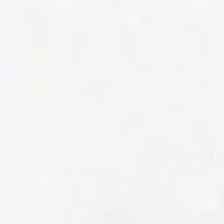Background (no tissue).
